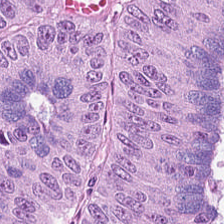H&E-stained tissue section — Q: What tissue type is shown here?
A: This is malignant epithelium.
